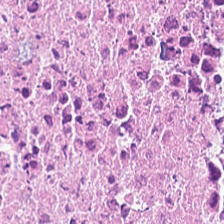{"tissue_type": "debris"}
